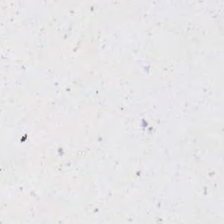Hematoxylin and eosin. Q: Classify this patch.
A: This is background (no tissue).
